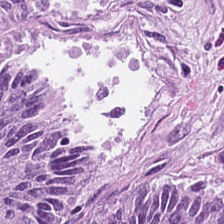H&E stain; 0.5 µm per pixel.
The predominant tissue is colorectal adenocarcinoma epithelium.
